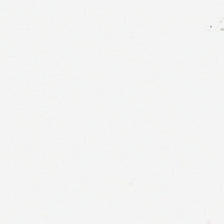Q: Classify this patch.
A: The field shows empty background.
